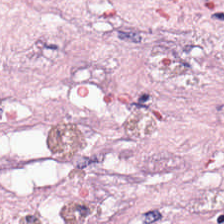Stain: hematoxylin-and-eosin stained section.
Tissue type: tumor stroma.
